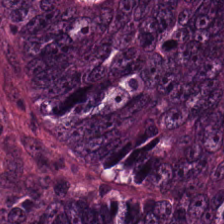H&E-stained tissue section — The predominant tissue is adenocarcinoma.
